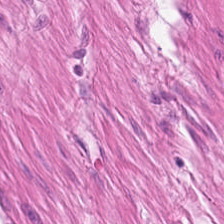224×224 px patch; whole-slide-image patch; hematoxylin and eosin.
Finding → muscularis.
